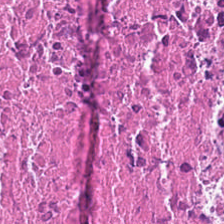FFPE; hematoxylin and eosin; 224×224 pixel tile — Finding → debris.
